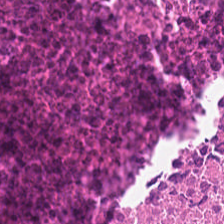H&E-stained tissue section. The predominant tissue is debris.
